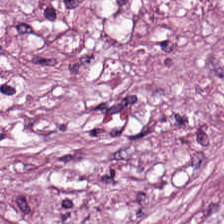Q: What does this patch show?
A: It is tumor stroma.
